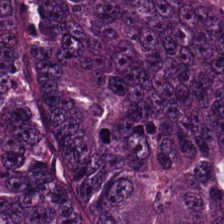Stain: H&E stain.
Tissue class: adenocarcinoma.
